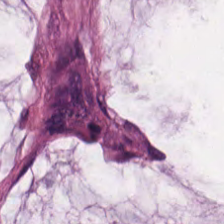Q: What tissue type is shown here?
A: Mucus.
